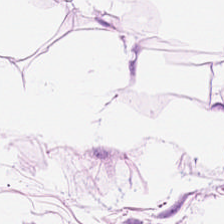H&E.
Predominantly adipose.
